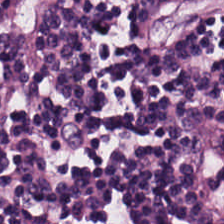H&E-stained tissue section.
Q: What tissue is shown?
A: It is lymphocytic infiltrate.
